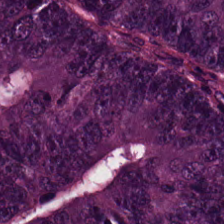H&E-stained tissue section.
Q: What tissue type is shown here?
A: Adenocarcinoma.
